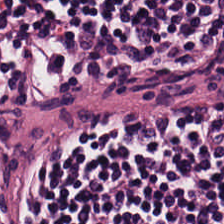224×224 pixel tile; H&E stain. Tissue: lymphoid infiltrate.
